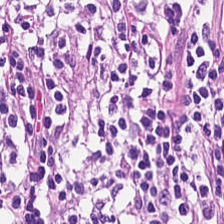H&E stain. 0.5 µm per pixel — This field is lymphocytic infiltrate.
